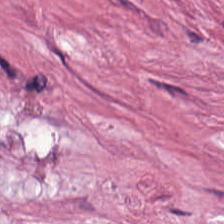{"tissue_type": "desmoplastic stroma"}
